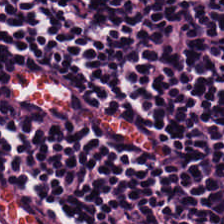Brightfield microscopy. 224×224 pixel tile. Hematoxylin-and-eosin stained section. The tissue here is lymphocyte aggregate.
